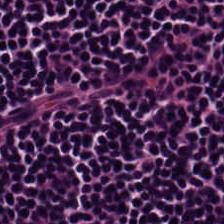H&E-stained tissue section — Classification = lymphocytes.
